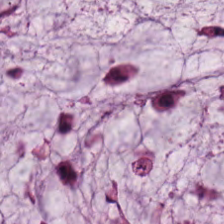H&E stain. WSI patch.
Predominantly mucus.
